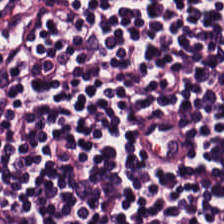The classification is lymphocytic infiltrate.
